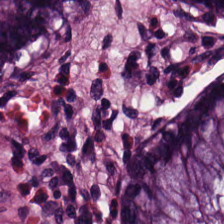20× equivalent magnification. Hematoxylin and eosin.
The tissue class is normal colon mucosa.
